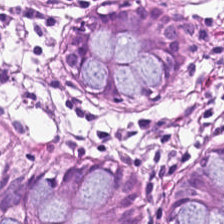Hematoxylin and eosin. Predominantly normal colon mucosa.
